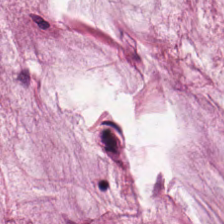Predominant tissue = mucus.
